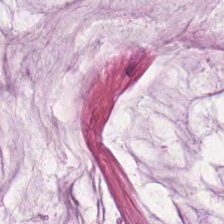H&E; brightfield microscopy; formalin-fixed paraffin-embedded section. Showing extracellular mucin.
